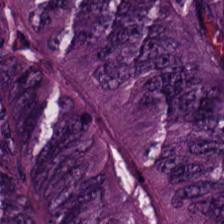H&E stain. Predominantly adenocarcinoma.
